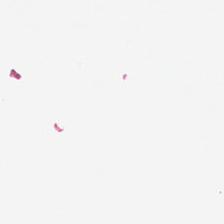H&E.
Background — no tissue in this field.
